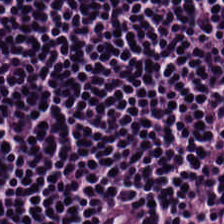224×224 px tile; H&E-stained tissue section; FFPE — Q: Identify the tissue.
A: Lymphocyte aggregate.
